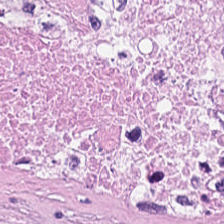Stain: H&E-stained tissue section.
Tissue class: debris.
